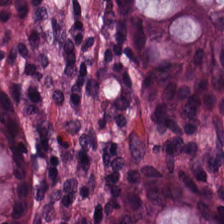H&E · brightfield — Predominant tissue = non-neoplastic colon mucosa.
